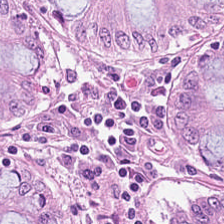Hematoxylin-and-eosin stained section. The predominant tissue is normal colon mucosa.
